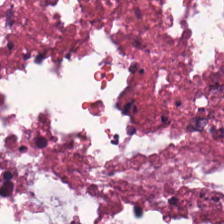Classification — necrotic debris.
